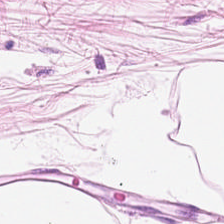FFPE tissue section. H&E — This patch shows adipose.
